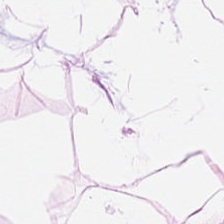Brightfield microscopy; H&E stain; FFPE. Histology — adipose.
